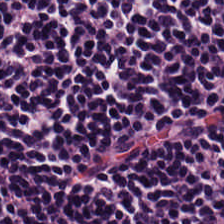H&E stain · FFPE · 0.5 µm/px — {"tissue_type": "lymphoid infiltrate"}
